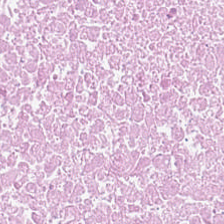H&E-stained tissue section. The predominant tissue is debris.
